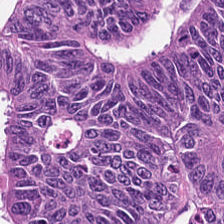H&E-stained tissue section — Predominant tissue: colorectal adenocarcinoma epithelium.
